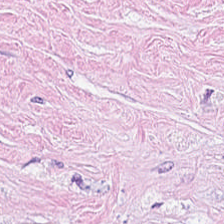H&E stain — The predominant tissue is cancer-associated stroma.
